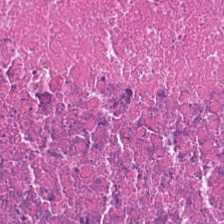Tissue class: debris.
